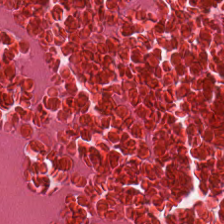Hematoxylin-and-eosin stained section. The tissue here is debris.
